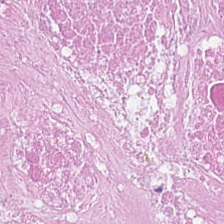H&E-stained tissue section. FFPE — Q: What is the predominant tissue type?
A: This is cellular debris.
